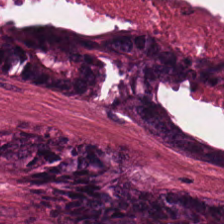H&E stain. 0.5 µm/px.
Impression → colorectal adenocarcinoma.
